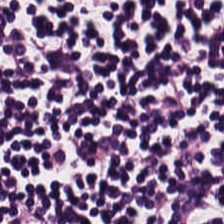H&E-stained section; the field shows lymphocyte aggregate.
